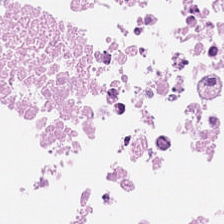H&E · 224×224 px patch · brightfield microscopy — Q: Identify the tissue.
A: It is necrotic debris.
